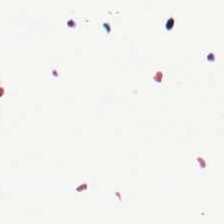0.5 µm per pixel. Hematoxylin and eosin.
{"content": "background (no tissue)"}
